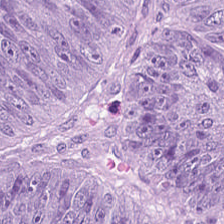Hematoxylin-and-eosin stained section. Q: What tissue is shown?
A: It is tumor epithelium.
